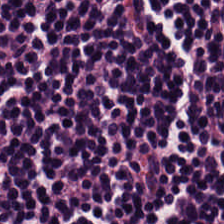H&E. Classification = lymphocytic infiltrate.
